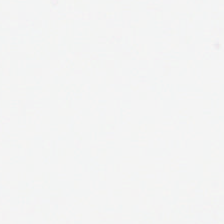Q: What is shown in this field?
A: It is no tissue.
